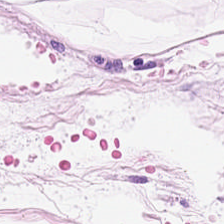H&E-stained section; the field shows adipose.
